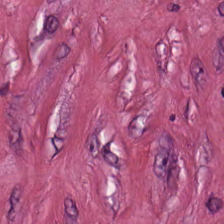H&E-stained tissue section. Q: What does this patch show?
A: This is tumor stroma.
